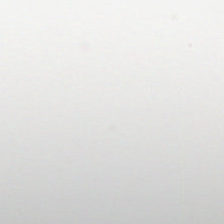H&E — Background (no tissue).
